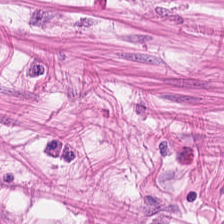H&E-stained tissue section · 0.5 µm/px. Q: What is shown here?
A: It is muscularis.
